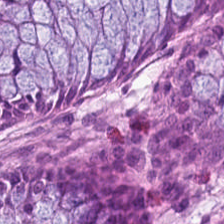Hematoxylin-and-eosin stained section. Tissue class = non-neoplastic colon mucosa.
